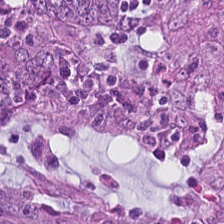Hematoxylin and eosin — The tissue here is tumor epithelium.
